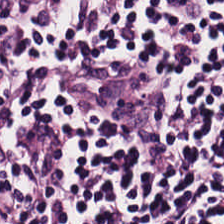{"tissue_type": "lymphoid infiltrate"}
